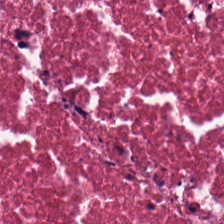H&E-stained tissue section. Histology → necrotic debris.
